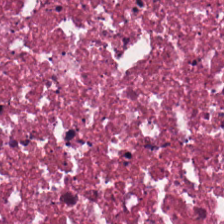Hematoxylin-and-eosin stained section · WSI patch · 224×224 px patch — Finding → debris.
